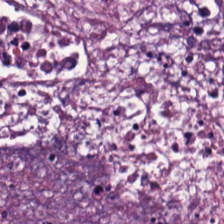Q: What type of tissue is this?
A: It is necrotic debris.
